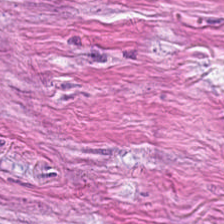H&E-stained tissue section — The tissue is cancer-associated stroma.
